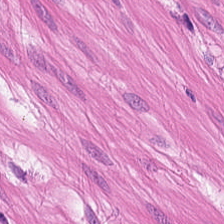0.5 µm per pixel · hematoxylin-and-eosin stained section · 224×224 px patch.
Predominant tissue = smooth-muscle tissue.
